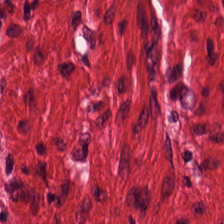Q: What type of tissue is this?
A: It is smooth-muscle tissue.
